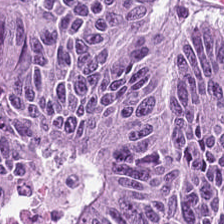Stain: hematoxylin-and-eosin stained section.
Classification: colorectal adenocarcinoma epithelium.
